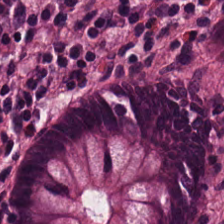H&E-stained tissue section — Impression → normal colonic mucosa.
